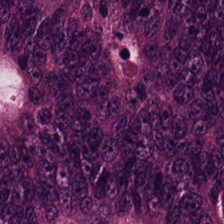Hematoxylin and eosin. FFPE tissue section.
This field is malignant epithelium.
